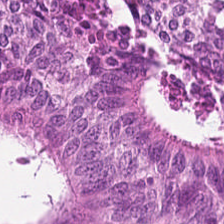H&E-stained tissue section — Classification: colorectal adenocarcinoma.
